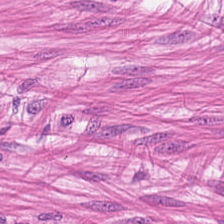WSI patch · H&E stain. Predominant tissue = muscularis.
